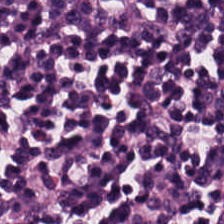Hematoxylin and eosin. Predominantly lymphocytic infiltrate.
